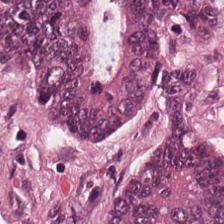Hematoxylin-and-eosin stained section · 224×224 px tile — This field is adenocarcinoma.
